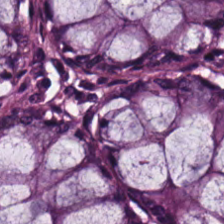Whole-slide-image patch. H&E — Tissue: normal colonic mucosa.
